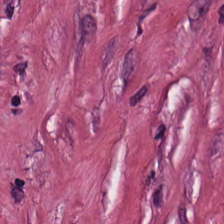The predominant tissue is tumor stroma.
